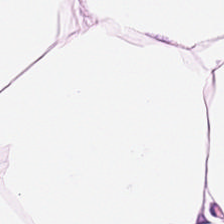H&E — This field is fat tissue.
